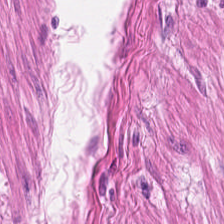H&E stain · brightfield · 0.5 µm/px. Smooth-muscle tissue.
